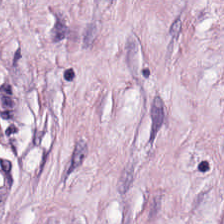H&E stain · 0.5 microns per pixel · 224×224 px patch — {"tissue_type": "tumor-associated stroma"}
